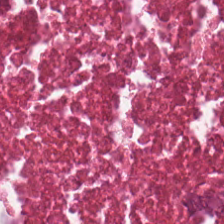H&E patch showing cellular debris.
